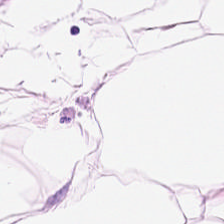Tissue class — adipocytes.
